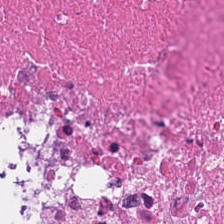Impression — cellular debris.
